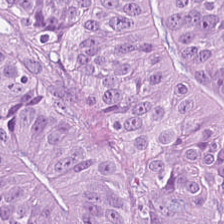20× equivalent magnification; hematoxylin-and-eosin stained section.
Q: What tissue type is shown here?
A: This is adenocarcinoma.
